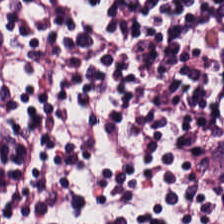Stain: H&E.
Tissue class: lymphocyte aggregate.
